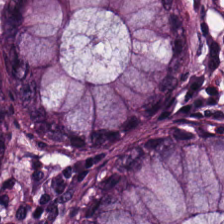The predominant tissue is benign colonic mucosa.
